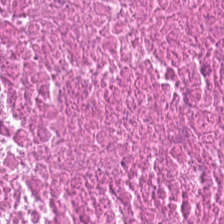H&E stain. Showing cellular debris.
